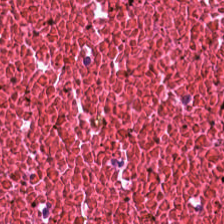H&E stain; FFPE; 0.5 µm per pixel — This patch shows necrotic debris.
